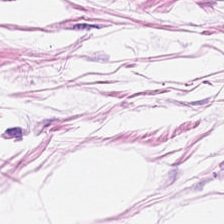224×224 pixel tile; hematoxylin-and-eosin stained section; formalin-fixed paraffin-embedded section.
Predominantly adipocytes.
